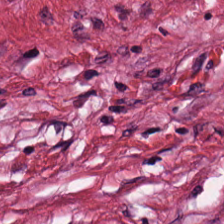H&E stain.
The predominant tissue is cancer-associated stroma.
